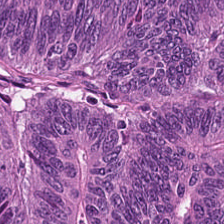H&E stain. Showing colorectal adenocarcinoma epithelium.
